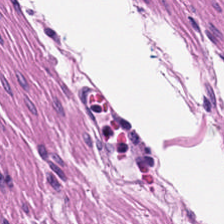Finding — muscularis.
